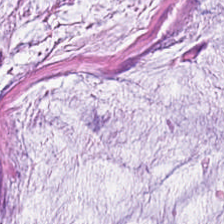H&E-stained tissue section showing mucus.
